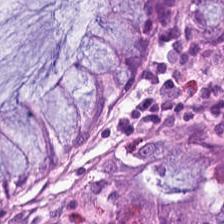Hematoxylin-and-eosin stained section. This patch shows benign colonic mucosa.
